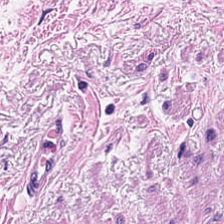H&E-stained tissue section.
This patch shows muscularis.
